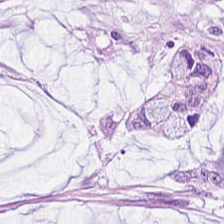H&E · 0.5 µm/px. Impression → extracellular mucin.
